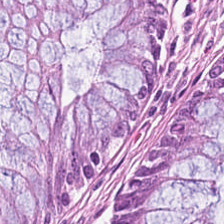WSI patch. H&E stain — Classification = non-neoplastic colon mucosa.
